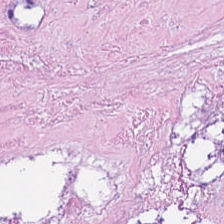Hematoxylin-and-eosin stained section — Q: What is the predominant tissue type?
A: The field shows cellular debris.
